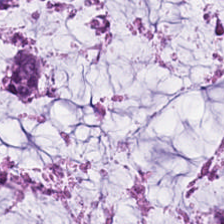Q: What tissue is shown?
A: The field shows mucin.
